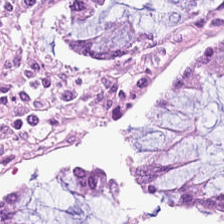Formalin-fixed paraffin-embedded section · H&E-stained tissue section — This field is normal colonic mucosa.
